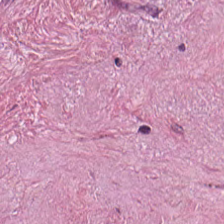H&E. This field is cancer-associated stroma.
